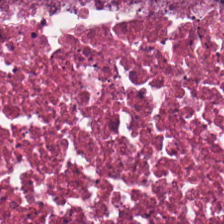Hematoxylin-and-eosin stained section — Cellular debris.
